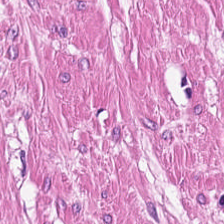224×224 px tile; H&E-stained tissue section.
Tissue type: smooth-muscle tissue.
